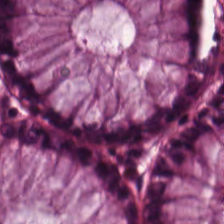H&E. This field is non-neoplastic colon mucosa.
